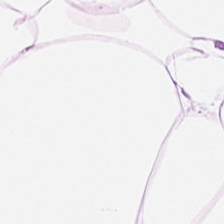H&E.
Finding → adipocytes.
